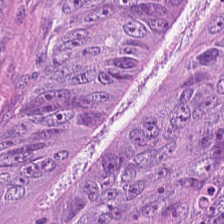Tissue class = tumor epithelium.
